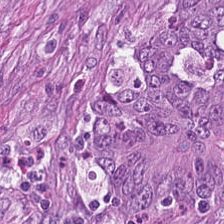Hematoxylin-and-eosin section: colorectal adenocarcinoma.
